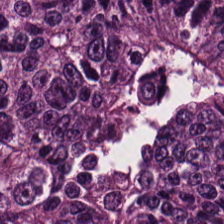Hematoxylin and eosin.
Tissue: tumor epithelium.
